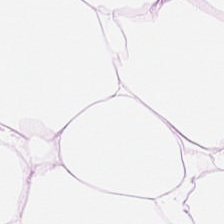Hematoxylin and eosin — {"tissue_type": "adipose"}
